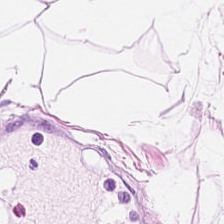Finding — adipose.
